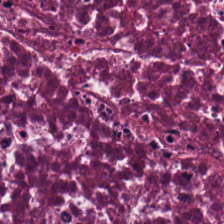H&E-stained section; the field shows debris.
